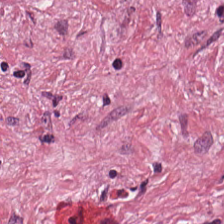H&E — The tissue here is desmoplastic stroma.
